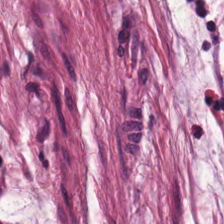Hematoxylin and eosin.
Q: What is the predominant tissue type?
A: This is mucus.
